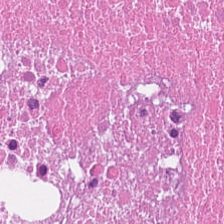{"tissue_type": "cellular debris"}
